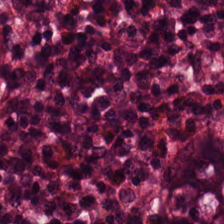H&E patch showing non-neoplastic colon mucosa.
